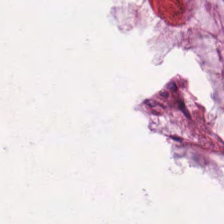H&E-stained tissue section. 224×224 px patch. Q: What type of tissue is this?
A: It is mucin.
